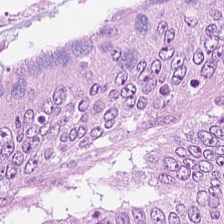FFPE. 224×224 pixel tile. Hematoxylin-and-eosin stained section. Classification = adenocarcinoma.
